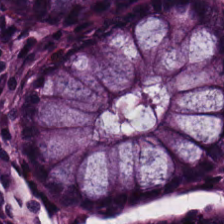H&E stain — This field is non-neoplastic colon mucosa.
